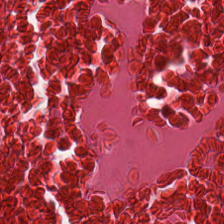H&E-stained tissue section — Q: Identify the tissue.
A: The field shows debris.
